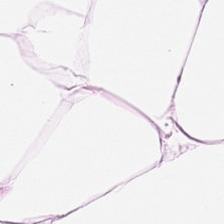H&E. Finding → adipocytes.
